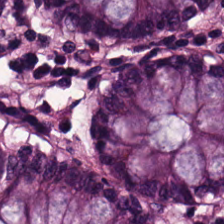Q: What tissue is shown?
A: It is benign colonic mucosa.
